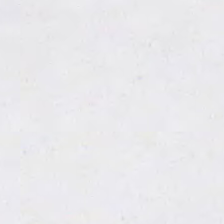H&E-stained tissue section; brightfield microscopy — Content = background.
